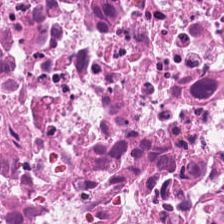The tissue here is debris.
